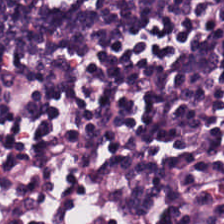Q: Identify the tissue.
A: Lymphocyte aggregate.
